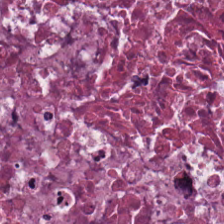Hematoxylin and eosin — This field is debris.
